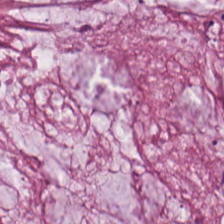Stain: hematoxylin and eosin.
Classification: mucus.
